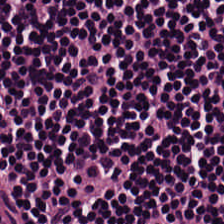Hematoxylin-and-eosin stained section — The predominant tissue is lymphocyte aggregate.
